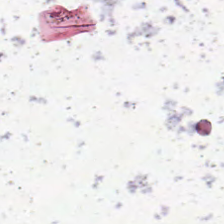Stain: hematoxylin-and-eosin stained section.
Tile size: 224×224 px tile.
Content: empty background.
